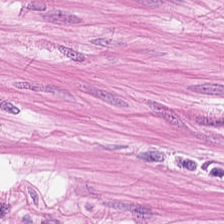Hematoxylin and eosin — This field is muscularis.
